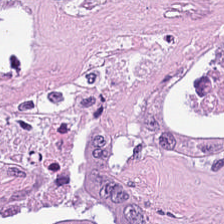20× equivalent magnification. Whole-slide-image patch. Hematoxylin-and-eosin stained section. Predominantly debris.
